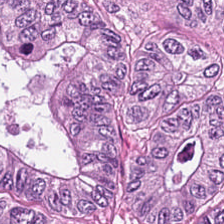Predominantly tumor epithelium.
